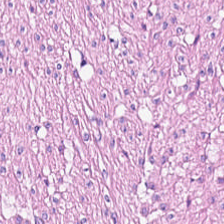20× equivalent magnification · H&E stain — The tissue type is smooth muscle.
